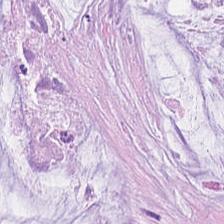Hematoxylin-and-eosin stained section; WSI patch.
Impression — mucus.
